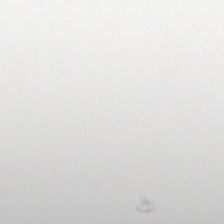Stain: H&E stain.
Resolution: 20× equivalent magnification.
Preparation: FFPE.
Field content: no tissue.
